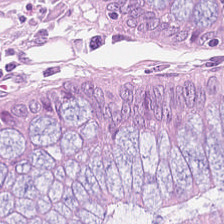H&E. Tissue = non-neoplastic colon mucosa.
